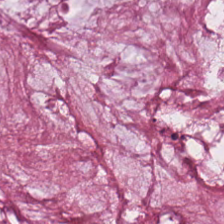This field is mucin.
